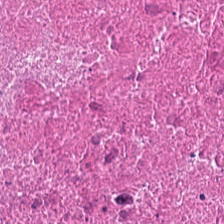H&E — Debris.
